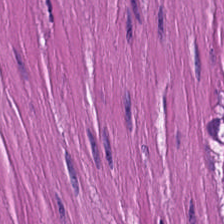H&E stain.
{"tissue_type": "muscularis"}
